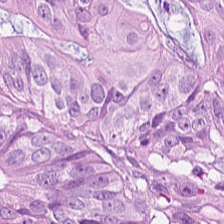H&E.
Histology → colorectal adenocarcinoma epithelium.
